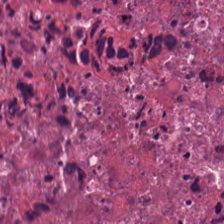H&E-stained tissue section · brightfield. Tissue class = necrotic debris.
